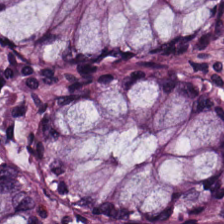H&E stain. Impression — benign colonic mucosa.
